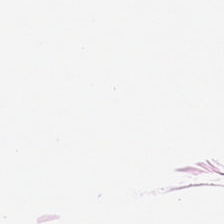H&E-stained tissue section; 0.5 µm/px; brightfield microscopy.
{"tissue_type": "adipose"}
